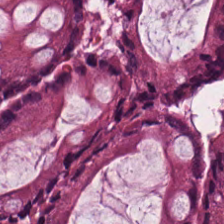Hematoxylin-and-eosin stained section — The predominant tissue is benign colonic mucosa.
